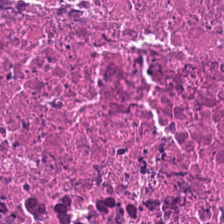Predominantly necrotic debris.
